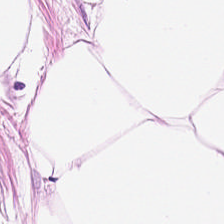H&E-stained tissue section. This patch shows adipose tissue.
